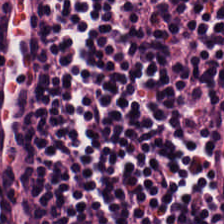Stain: hematoxylin-and-eosin stained section.
Resolution: 20× equivalent magnification.
Acquisition: brightfield microscopy.
Tissue type: lymphocytes.
